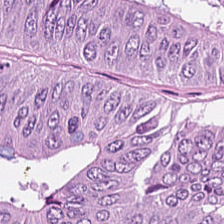Hematoxylin-and-eosin stained section · brightfield. Predominantly adenocarcinoma.
